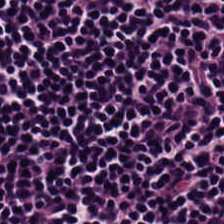FFPE tissue section; H&E.
The tissue here is lymphoid infiltrate.
